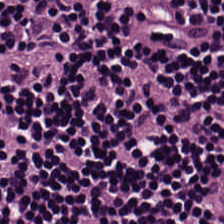Hematoxylin-and-eosin section: lymphocytes.
